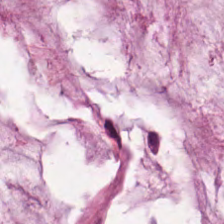H&E. {"tissue_type": "mucin"}
